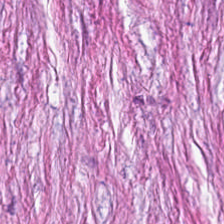H&E — This field is cancer-associated stroma.
